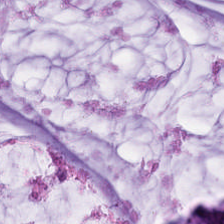Q: What is shown in this field?
A: It is extracellular mucin.
